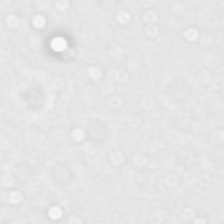0.5 microns per pixel · formalin-fixed paraffin-embedded section · hematoxylin-and-eosin stained section.
No tissue present; background only.
